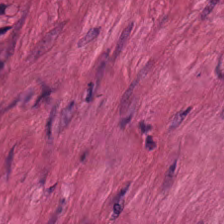Stain: H&E.
Tissue type: smooth-muscle tissue.
